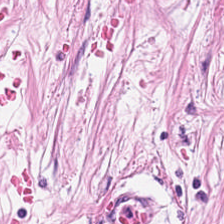Hematoxylin-and-eosin stained section.
Cancer-associated stroma.
